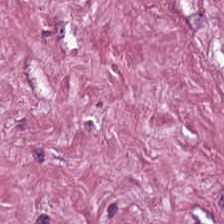Hematoxylin and eosin. {"tissue_type": "tumor-associated stroma"}
